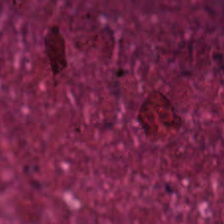Finding → necrotic debris.
